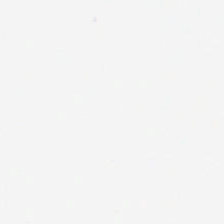H&E stain.
Q: Classify this patch.
A: The field shows empty background.
